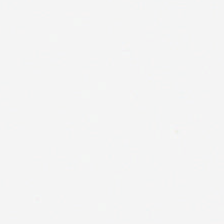No tissue present; background only.
